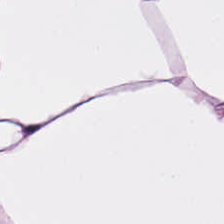Stain: hematoxylin-and-eosin stained section.
Classification: adipose.
